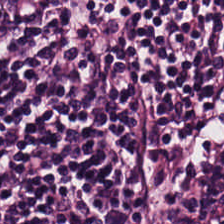H&E-stained tissue section; FFPE.
Q: What tissue type is shown here?
A: Lymphocytic infiltrate.
